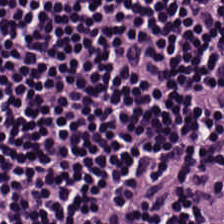224×224 px patch; H&E stain — Tissue class: lymphoid infiltrate.
